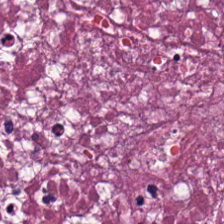Stain: H&E stain.
Preparation: formalin-fixed paraffin-embedded section.
Predominant tissue: debris.
